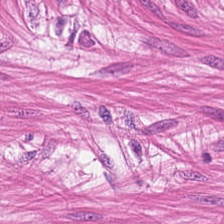H&E — Histology → smooth-muscle tissue.
